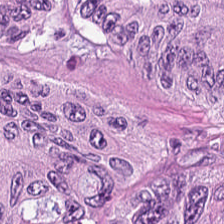Hematoxylin-and-eosin stained section — The tissue class is colorectal adenocarcinoma epithelium.
